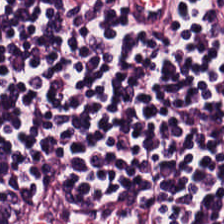FFPE; H&E-stained tissue section — Q: What is shown in this field?
A: The field shows lymphocytes.
